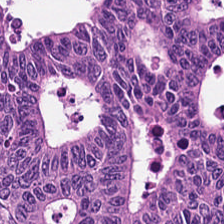FFPE; 0.5 µm per pixel; H&E-stained tissue section. Classification — colorectal adenocarcinoma.
